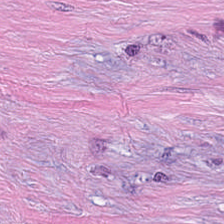H&E-stained section; the field shows desmoplastic stroma.
